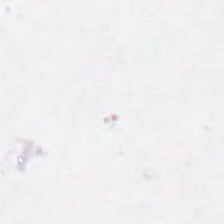0.5 µm/px; hematoxylin-and-eosin stained section. Q: What is shown in this field?
A: No tissue.
